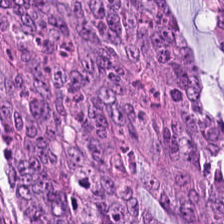H&E stain.
Showing colorectal adenocarcinoma.
